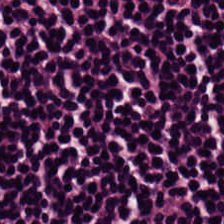Stain: hematoxylin-and-eosin stained section.
Tissue type: lymphocyte aggregate.
